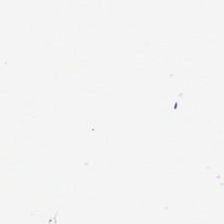H&E-stained tissue section — No tissue present; background only.
